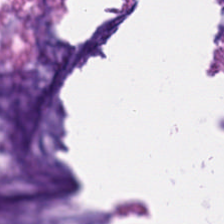FFPE. Brightfield. H&E. This field is extracellular mucin.
